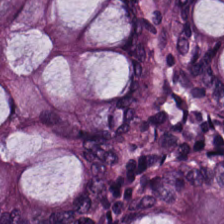Hematoxylin and eosin — Finding → non-neoplastic colon mucosa.
